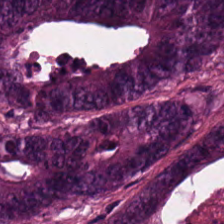H&E; FFPE tissue section.
Adenocarcinoma.
